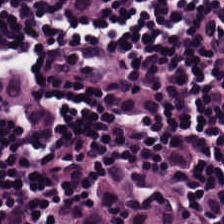Hematoxylin and eosin.
The tissue here is lymphocytic infiltrate.
